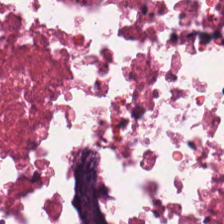Hematoxylin-and-eosin stained section. Predominant tissue — necrotic debris.
